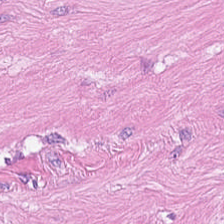The tissue type is smooth-muscle tissue.
